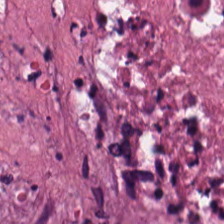Stain: H&E-stained tissue section.
Predominant tissue: necrotic debris.
